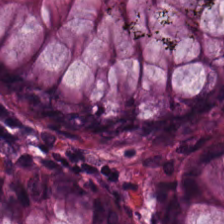0.5 microns per pixel. Hematoxylin-and-eosin stained section — The tissue here is normal colonic mucosa.
